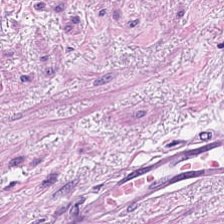Hematoxylin-and-eosin section: smooth-muscle tissue.
